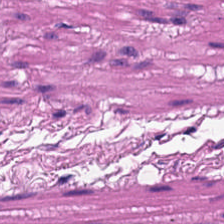Q: What is shown here?
A: Smooth muscle.
